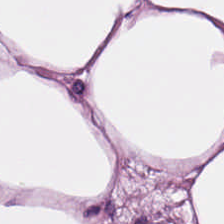H&E stain.
Q: What is the predominant tissue type?
A: The field shows adipocytes.
